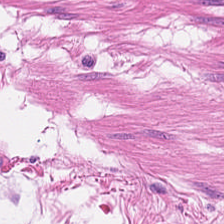Hematoxylin and eosin · 0.5 microns per pixel — Tissue type: smooth-muscle tissue.
